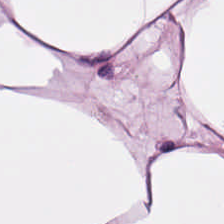H&E stain — Q: What does this patch show?
A: It is adipocytes.
